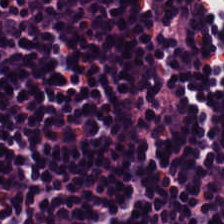H&E — This patch shows lymphocytic infiltrate.
